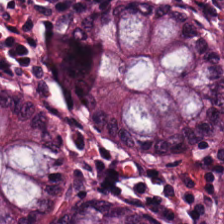H&E — Q: What tissue is shown?
A: The field shows non-neoplastic colon mucosa.
